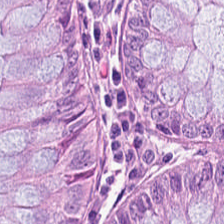Normal colonic mucosa.
